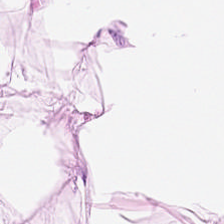Hematoxylin and eosin · brightfield microscopy.
Showing fat tissue.
